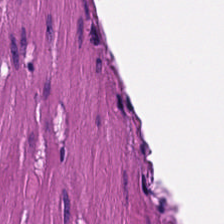Tissue — muscularis.
